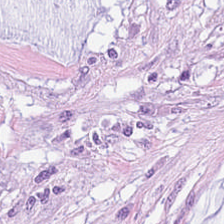The classification is mucin.
